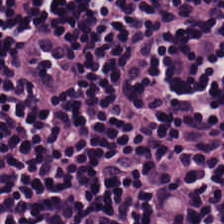This patch shows lymphocytic infiltrate.
